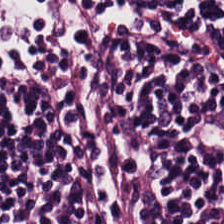H&E-stained tissue section.
This patch shows lymphoid infiltrate.
